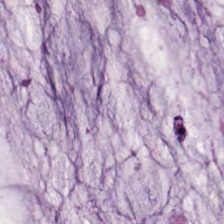0.5 µm/px · H&E-stained tissue section — Q: What does this patch show?
A: The field shows mucin.
